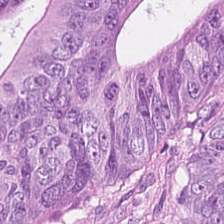Tissue: tumor epithelium.
